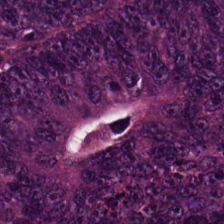0.5 µm per pixel. H&E.
Q: What is shown here?
A: This is colorectal adenocarcinoma epithelium.
